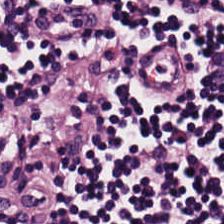H&E stain.
Predominantly lymphocytes.
